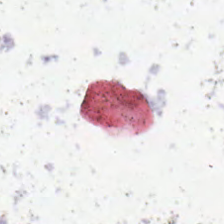Impression — background.
